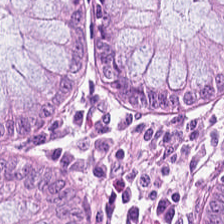Predominantly benign colonic mucosa.
